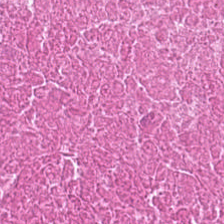0.5 microns per pixel; hematoxylin and eosin. The tissue here is necrotic debris.
